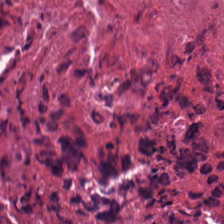H&E-stained section; the field shows debris.
